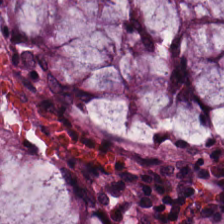Brightfield · hematoxylin and eosin · 20× equivalent magnification. Tissue class — non-neoplastic colon mucosa.
